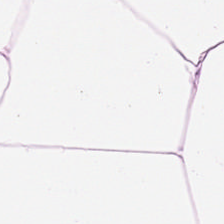H&E-stained tissue section showing adipocytes.
